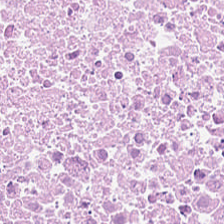Hematoxylin and eosin — Showing necrotic debris.
